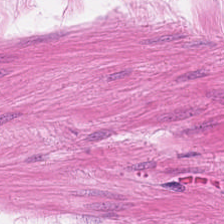224×224 px patch; H&E. Q: What tissue is shown?
A: Muscularis.
